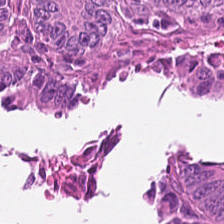224×224 px patch; hematoxylin-and-eosin stained section.
Tissue = adenocarcinoma.
